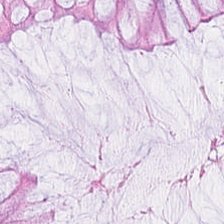Hematoxylin-and-eosin stained section; 224×224 px patch. Q: What tissue is shown?
A: Non-neoplastic colon mucosa.
